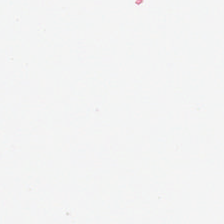Field content — no tissue.
